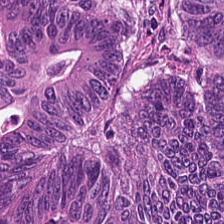224×224 px patch. H&E stain.
Showing colorectal adenocarcinoma epithelium.
